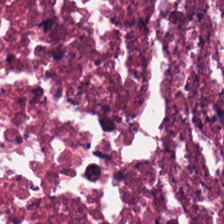Stain: H&E-stained tissue section.
Predominant tissue: necrotic debris.
